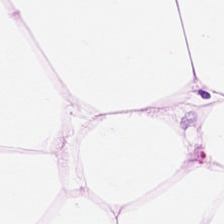Hematoxylin-and-eosin stained section.
Predominant tissue = adipose tissue.
